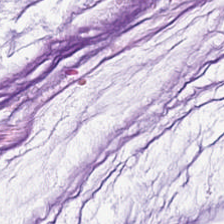H&E-stained tissue section. This patch shows mucus.
